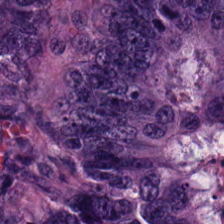Hematoxylin-and-eosin stained section.
The tissue here is malignant epithelium.
